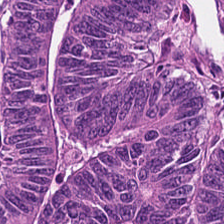Stain: hematoxylin-and-eosin stained section.
Tissue: malignant epithelium.
